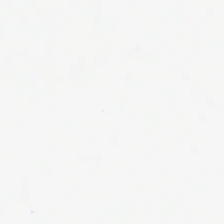Stain: hematoxylin-and-eosin stained section.
Classification: background (no tissue).
